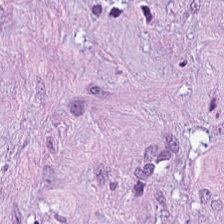Whole-slide-image patch · H&E-stained tissue section · 224×224 px patch — The predominant tissue is desmoplastic stroma.
